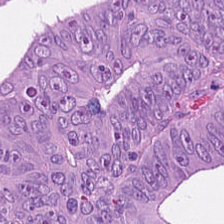H&E-stained section; the field shows tumor epithelium.
